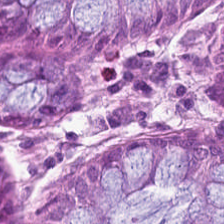Hematoxylin-and-eosin stained section — Predominant tissue — benign colonic mucosa.
